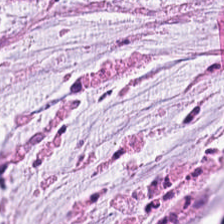Formalin-fixed paraffin-embedded section · H&E · whole-slide-image patch.
Q: What does this patch show?
A: The field shows mucus.
